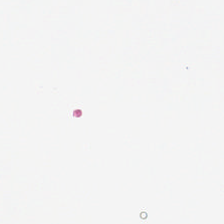H&E stain. Histology → background (no tissue).
